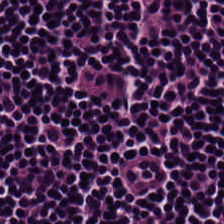Hematoxylin-and-eosin stained section. Tissue type — lymphocytic infiltrate.
